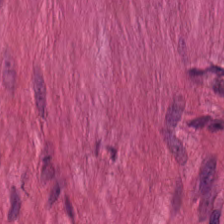Hematoxylin and eosin; brightfield.
Tissue type — smooth-muscle tissue.
